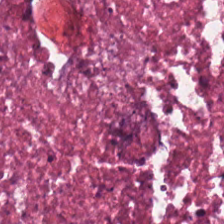224×224 pixel tile. Hematoxylin and eosin — Predominantly necrotic debris.
